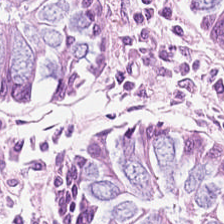Brightfield. H&E.
Tissue: benign colonic mucosa.
